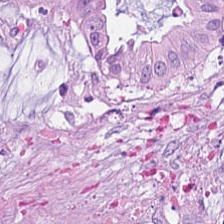H&E stain. Whole-slide-image patch.
Histology → extracellular mucin.
